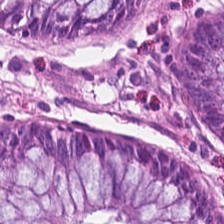H&E. 0.5 µm/px. Classification: non-neoplastic colon mucosa.
